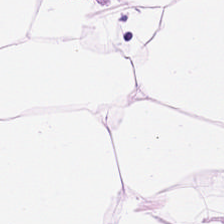Hematoxylin and eosin. Showing adipocytes.
